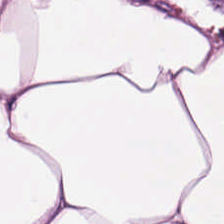Predominantly adipose.
